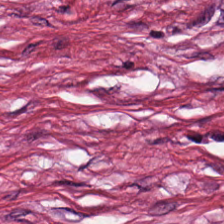H&E-stained tissue section.
This patch shows cancer-associated stroma.
